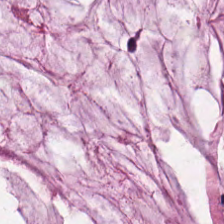H&E — This field is extracellular mucin.
